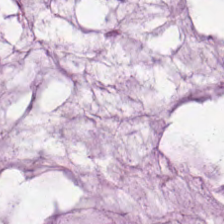H&E stain. Brightfield. 0.5 µm per pixel. The predominant tissue is mucin.
